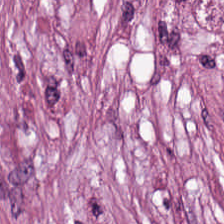Classification — cancer-associated stroma.
